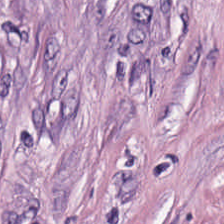Hematoxylin and eosin — Q: Classify this patch.
A: Tumor-associated stroma.
